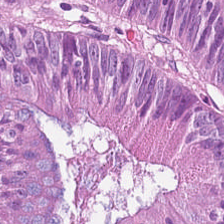Stain: H&E-stained tissue section.
Preparation: formalin-fixed paraffin-embedded section.
Acquisition: whole-slide-image patch.
Tissue type: colorectal adenocarcinoma epithelium.
